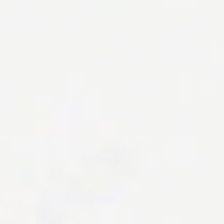H&E stain. Q: What does this patch show?
A: It is background.
